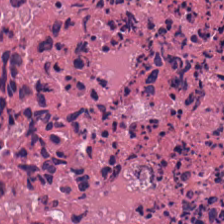Stain: hematoxylin and eosin.
Tissue type: debris.
